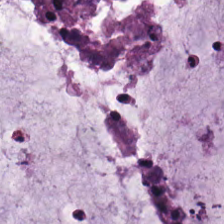H&E-stained tissue section.
The predominant tissue is extracellular mucin.
